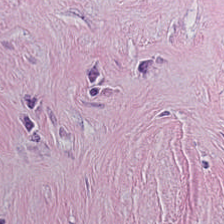Formalin-fixed paraffin-embedded section · hematoxylin and eosin · 224×224 px tile — This field is tumor stroma.
